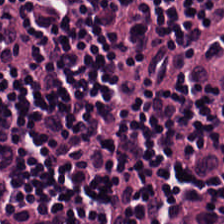224×224 px patch · hematoxylin-and-eosin stained section.
Showing lymphocyte aggregate.
